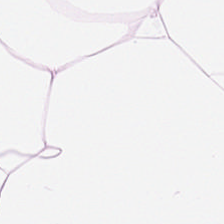Hematoxylin-and-eosin stained section. Showing adipocytes.
